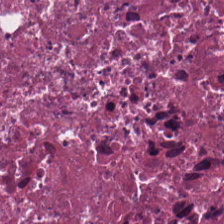Stain: H&E.
Tile size: 224×224 pixel tile.
Tissue type: necrotic debris.
